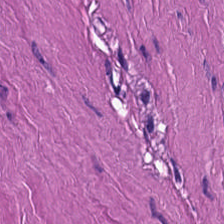Hematoxylin-and-eosin section: muscularis.
